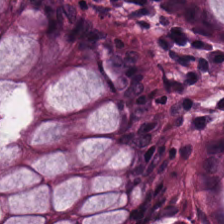Brightfield; H&E stain.
The classification is normal colon mucosa.
